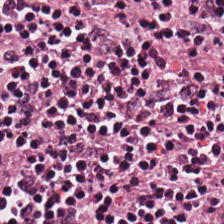H&E. Histology → lymphocytic infiltrate.
